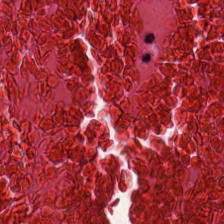H&E stain.
Classification — debris.
